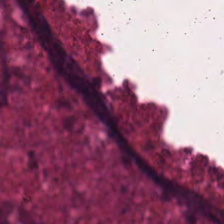WSI patch · hematoxylin-and-eosin stained section · 20× equivalent magnification — Tissue type = cellular debris.
